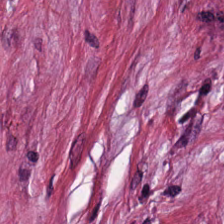Q: Identify the tissue.
A: Tumor stroma.
